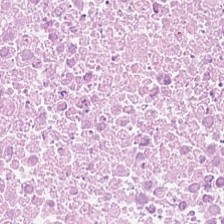Stain: H&E-stained tissue section.
Tissue: cellular debris.
